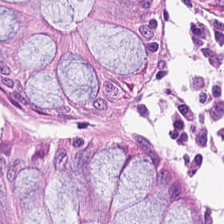H&E-stained tissue section.
Histology — normal colon mucosa.
